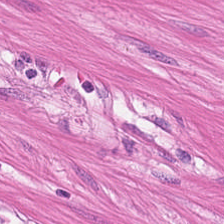H&E stain — Q: What does this patch show?
A: Smooth-muscle tissue.
